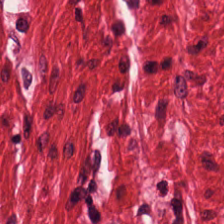H&E-stained tissue section; 224×224 px tile; formalin-fixed paraffin-embedded section — The predominant tissue is smooth-muscle tissue.
